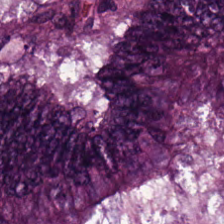WSI patch. Hematoxylin-and-eosin stained section.
{"tissue_type": "colorectal adenocarcinoma epithelium"}
